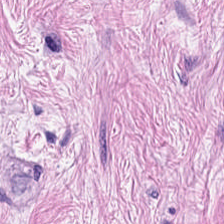Formalin-fixed paraffin-embedded section · hematoxylin-and-eosin stained section · brightfield — Desmoplastic stroma.
